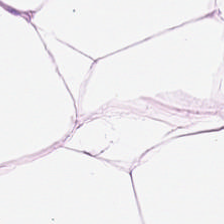0.5 µm per pixel. Hematoxylin-and-eosin stained section. Brightfield microscopy.
The tissue here is adipose.
